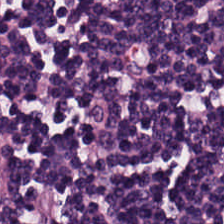Stain: hematoxylin and eosin.
Predominant tissue: lymphocytes.
